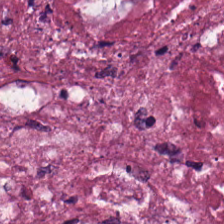H&E stain. Cellular debris.
